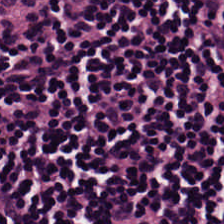Hematoxylin-and-eosin stained section; 224×224 px patch — Tissue type = lymphocytic infiltrate.
